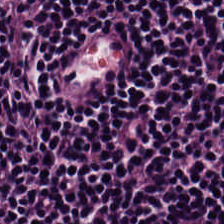H&E stain.
Classification — lymphoid infiltrate.
